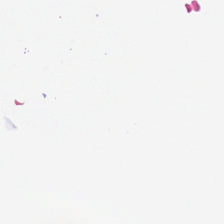Formalin-fixed paraffin-embedded section · H&E stain · whole-slide-image patch.
{"content": "empty background"}
